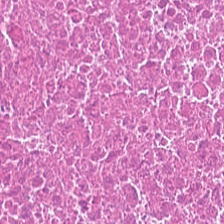H&E stain.
Q: What type of tissue is this?
A: It is necrotic debris.
